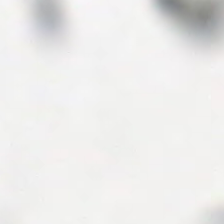Hematoxylin and eosin. 224×224 px tile. WSI patch — No tissue present; background only.
